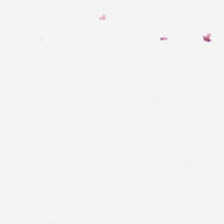H&E stain. 224×224 px tile. No tissue present; background only.
